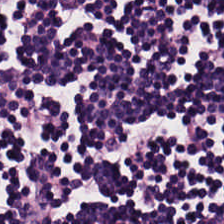Hematoxylin-and-eosin stained section. The tissue class is lymphoid infiltrate.
